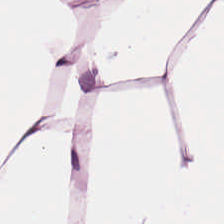H&E-stained tissue section. This patch shows adipose tissue.
